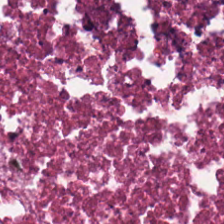224×224 px tile · hematoxylin-and-eosin stained section · 0.5 µm/px.
Debris.
